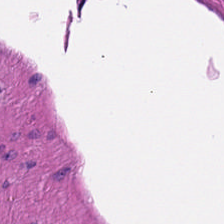H&E-stained tissue section; FFPE. Q: What tissue type is shown here?
A: It is muscularis.
